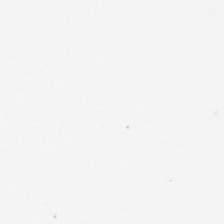H&E — Empty field — no tissue.
